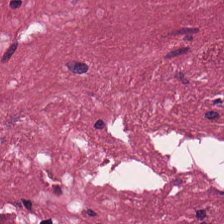H&E-stained tissue section.
Tissue = tumor-associated stroma.
